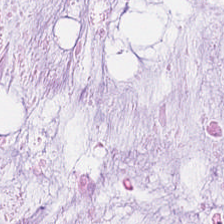Stain: H&E stain.
Tile size: 224×224 px patch.
Preparation: FFPE tissue section.
Tissue class: extracellular mucin.
